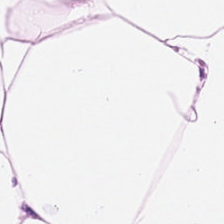Hematoxylin-and-eosin stained section; brightfield microscopy; FFPE — This patch shows adipocytes.
